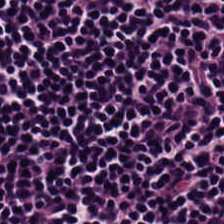Showing lymphocytes.
